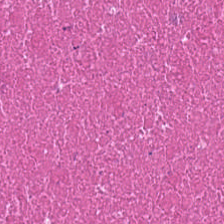{"tissue_type": "necrotic debris"}
